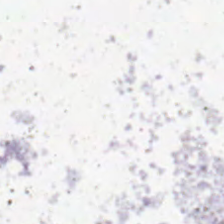Brightfield. 20× equivalent magnification. H&E.
Q: What is shown here?
A: The field shows background (no tissue).
